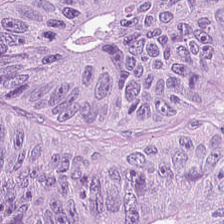Hematoxylin and eosin — Colorectal adenocarcinoma epithelium.
